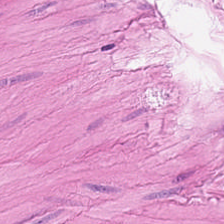H&E stain · 0.5 µm/px.
Histology → smooth-muscle tissue.
